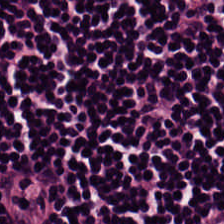Stain: hematoxylin-and-eosin stained section.
Tile size: 224×224 pixel tile.
Acquisition: WSI patch.
Tissue type: lymphocyte aggregate.
